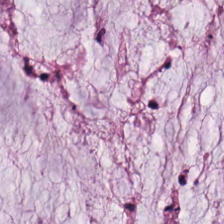Hematoxylin and eosin.
Classification = mucin.
